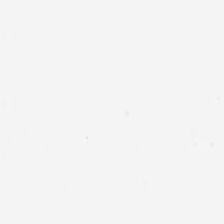H&E-stained tissue section — No tissue present; background only.
